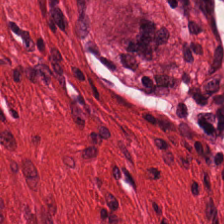Hematoxylin and eosin; WSI patch; formalin-fixed paraffin-embedded section. This field is smooth-muscle tissue.
